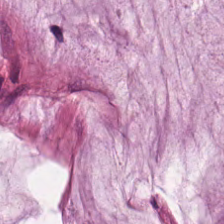The tissue type is mucus.
